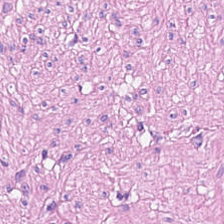Stain: H&E stain.
Acquisition: brightfield.
Classification: smooth-muscle tissue.
